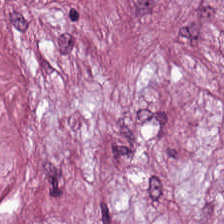Finding — tumor-associated stroma.
